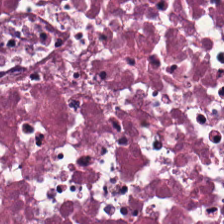Whole-slide-image patch · H&E — Debris.
